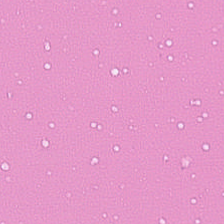Stain: hematoxylin-and-eosin stained section.
Predominant tissue: cellular debris.
